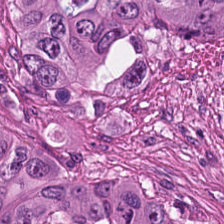0.5 microns per pixel · H&E stain · formalin-fixed paraffin-embedded section.
This field is colorectal adenocarcinoma.
